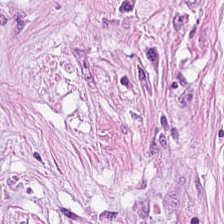H&E stain — Predominant tissue: cancer-associated stroma.
